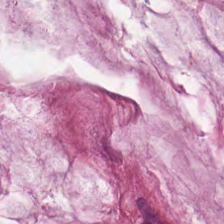Impression → mucus.
